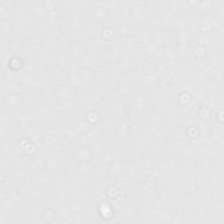H&E — Impression — no tissue.
